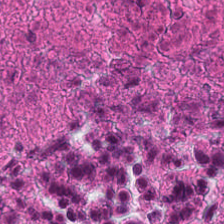H&E stain — Histology — necrotic debris.
